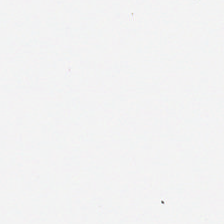H&E stain — Field content = empty background.
